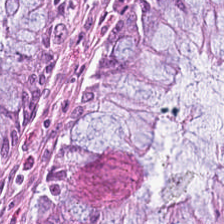20× equivalent magnification; H&E stain — Showing non-neoplastic colon mucosa.
